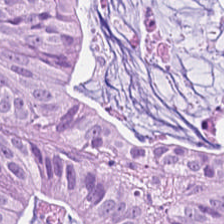Hematoxylin-and-eosin stained section · 0.5 µm per pixel — This patch shows colorectal adenocarcinoma epithelium.
